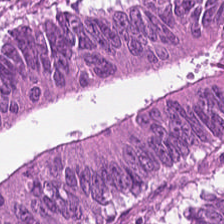Q: Classify this patch.
A: The field shows adenocarcinoma.
